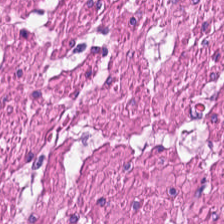Stain: H&E.
Preparation: formalin-fixed paraffin-embedded section.
Resolution: 0.5 µm/px.
Predominant tissue: muscularis.
